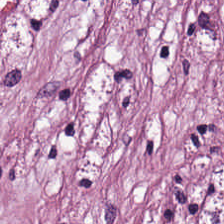H&E-stained tissue section — Tissue = cancer-associated stroma.
